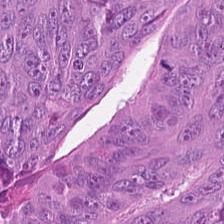Brightfield microscopy. Hematoxylin-and-eosin stained section. 0.5 µm/px. Tissue class = malignant epithelium.
